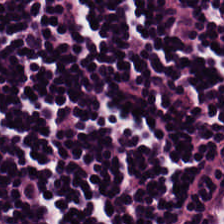224×224 px patch; H&E.
{"tissue_type": "lymphocyte aggregate"}
